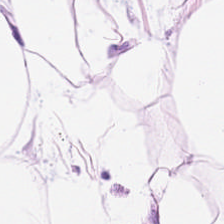Hematoxylin and eosin; 20× equivalent magnification. The tissue class is fat tissue.
